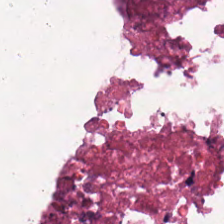Hematoxylin and eosin.
Q: What is shown in this field?
A: The field shows cellular debris.
